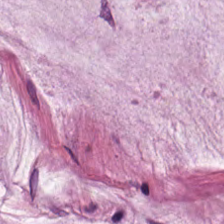H&E-stained tissue section.
This field is mucus.
